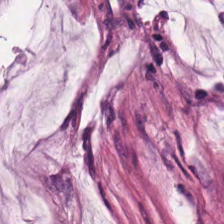H&E.
{"tissue_type": "extracellular mucin"}
